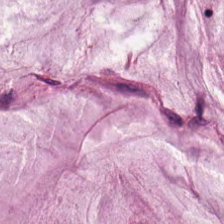H&E-stained tissue section.
Q: What tissue type is shown here?
A: It is mucin.
